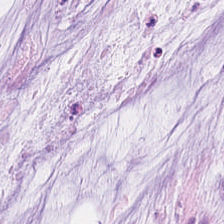H&E-stained tissue section.
Histology — mucin.
